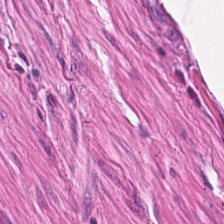224×224 px tile · 0.5 µm/px · H&E-stained tissue section — This field is smooth muscle.
